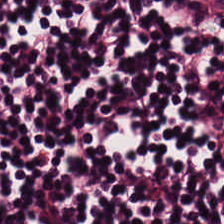Hematoxylin and eosin. Lymphoid infiltrate.
